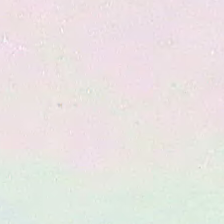H&E stain.
Q: What is shown in this field?
A: Empty background.
